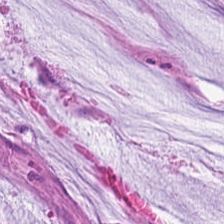0.5 µm/px · H&E stain. Q: What tissue type is shown here?
A: The field shows mucin.
